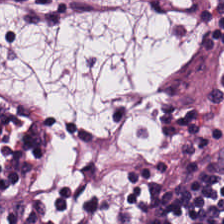Hematoxylin and eosin; FFPE — Q: What is the predominant tissue type?
A: It is lymphoid infiltrate.
